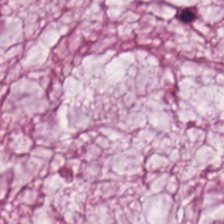Stain: H&E.
Tissue class: extracellular mucin.
